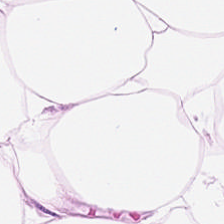0.5 microns per pixel · FFPE · H&E stain — Adipose tissue.
